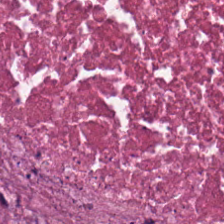Stain: H&E-stained tissue section.
Predominant tissue: cellular debris.
